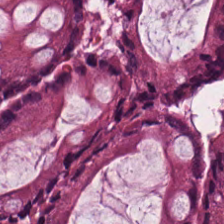Histology → benign colonic mucosa.
